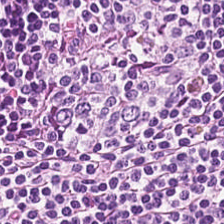H&E stain — {"tissue_type": "lymphocyte aggregate"}
